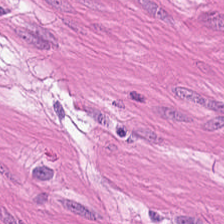H&E-stained tissue section · 224×224 px patch. This field is muscularis.
